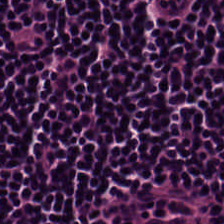Tissue class — lymphoid infiltrate.
